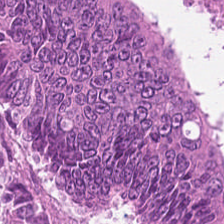Showing tumor epithelium.
